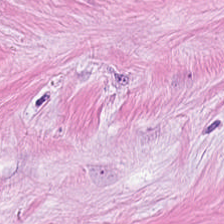Brightfield. H&E.
{"tissue_type": "cancer-associated stroma"}
